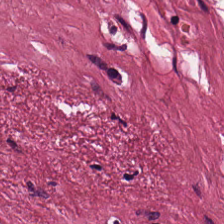224×224 px patch · H&E-stained tissue section · formalin-fixed paraffin-embedded section.
Classification — tumor stroma.
